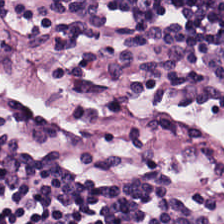H&E-stained tissue section — Predominantly lymphocyte aggregate.
